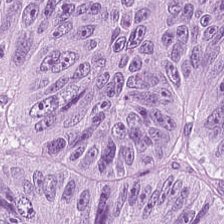224×224 px patch; H&E stain. This patch shows colorectal adenocarcinoma epithelium.
